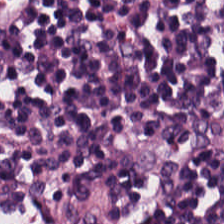H&E-stained tissue section showing lymphoid infiltrate.
